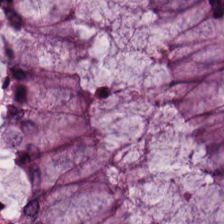Formalin-fixed paraffin-embedded section. H&E stain. Histology → benign colonic mucosa.
